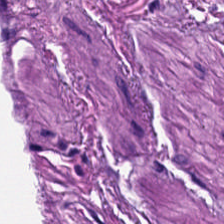Hematoxylin and eosin.
Tissue class: smooth-muscle tissue.
